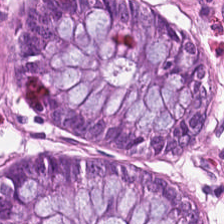224×224 px tile; FFPE tissue section; hematoxylin and eosin.
Normal colon mucosa.
